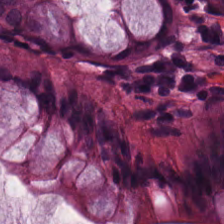Hematoxylin-and-eosin stained section · 0.5 microns per pixel. Non-neoplastic colon mucosa.
